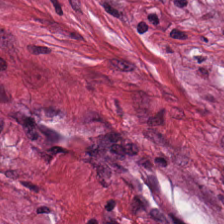H&E. Tissue type: tumor stroma.
